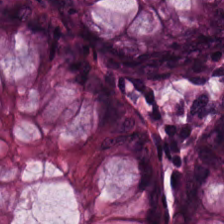Whole-slide-image patch · hematoxylin-and-eosin stained section · 224×224 pixel tile.
The tissue is normal colonic mucosa.
